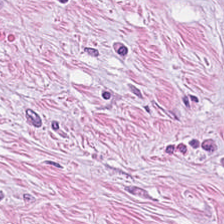H&E stain.
Impression → desmoplastic stroma.
